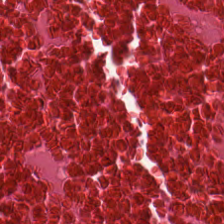This patch shows necrotic debris.
